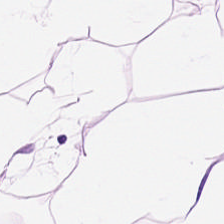20× equivalent magnification. H&E — Classification — adipocytes.
